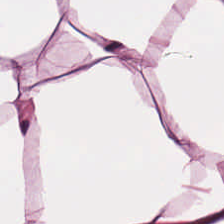Hematoxylin-and-eosin stained section — This patch shows fat tissue.
